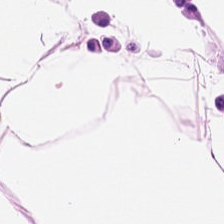The classification is adipocytes.
